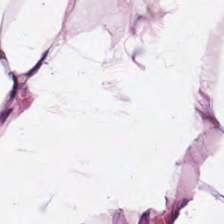FFPE. Hematoxylin-and-eosin stained section — Q: What tissue type is shown here?
A: This is adipocytes.
